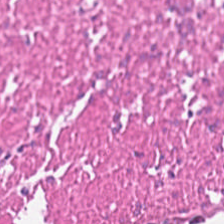Hematoxylin-and-eosin stained section — Predominantly muscularis.
